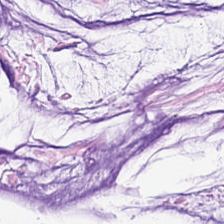H&E-stained tissue section. Whole-slide-image patch — The predominant tissue is mucin.
